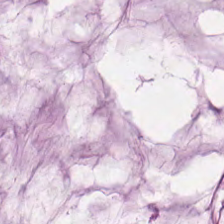{"tissue_type": "extracellular mucin"}
